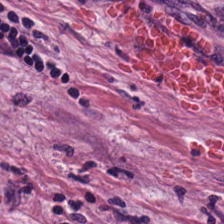H&E-stained tissue section — Predominantly desmoplastic stroma.
